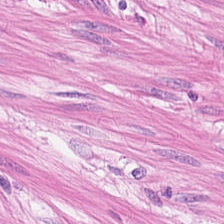224×224 px patch. Hematoxylin and eosin.
Q: What type of tissue is this?
A: Smooth muscle.
